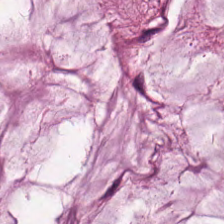H&E stain.
Q: What is shown in this field?
A: The field shows extracellular mucin.
